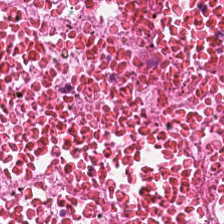FFPE tissue section · H&E-stained tissue section.
This patch shows cellular debris.
